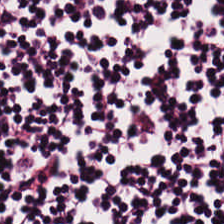The predominant tissue is lymphocyte aggregate.
